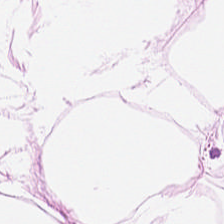H&E-stained tissue section. 20× equivalent magnification — Q: Identify the tissue.
A: Adipose tissue.
